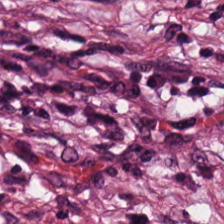20× equivalent magnification; H&E.
The tissue class is cancer-associated stroma.
